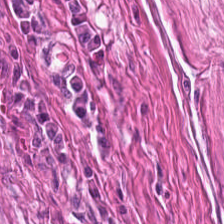H&E · brightfield microscopy. {"tissue_type": "muscularis"}
